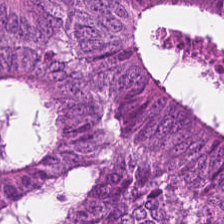224×224 px patch. H&E-stained tissue section.
Tissue class — tumor epithelium.
